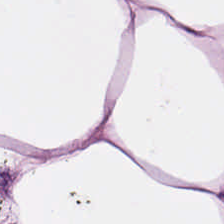H&E · FFPE. This patch shows fat tissue.
